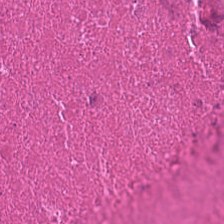224×224 px tile · FFPE · H&E. Tissue — necrotic debris.
